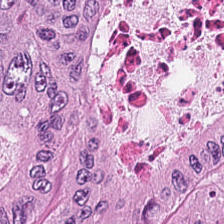Hematoxylin-and-eosin stained section — Histology → colorectal adenocarcinoma epithelium.
